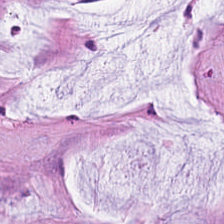H&E-stained tissue section. The predominant tissue is mucus.
